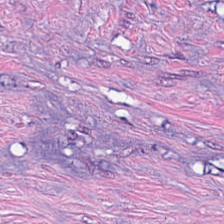FFPE. H&E-stained tissue section.
{"tissue_type": "cancer-associated stroma"}
